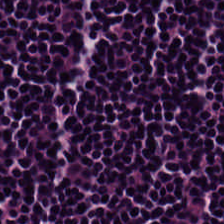Hematoxylin and eosin · 0.5 µm per pixel — Showing lymphoid infiltrate.
